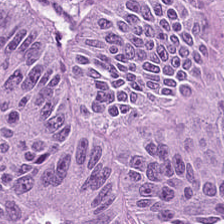FFPE. Hematoxylin and eosin. 0.5 µm/px — Tissue type: colorectal adenocarcinoma.
